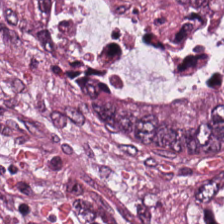Hematoxylin-and-eosin stained section — This patch shows colorectal adenocarcinoma epithelium.
